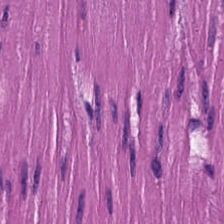Formalin-fixed paraffin-embedded section. Hematoxylin-and-eosin stained section — Classification — smooth-muscle tissue.
